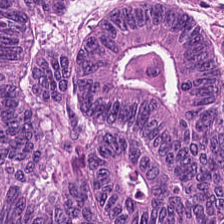Stain: H&E-stained tissue section.
Predominant tissue: adenocarcinoma.
